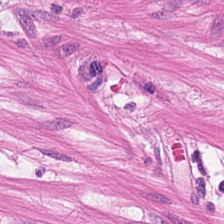This patch shows muscularis.
